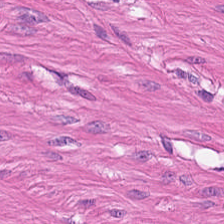H&E-stained tissue section showing muscularis.
